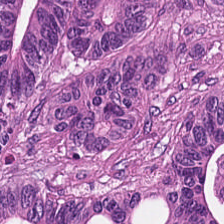Stain: H&E stain.
Predominant tissue: tumor epithelium.
